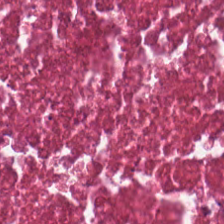Tissue class = necrotic debris.
